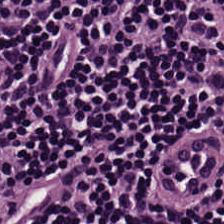H&E · brightfield.
Q: What tissue type is shown here?
A: Lymphoid infiltrate.
